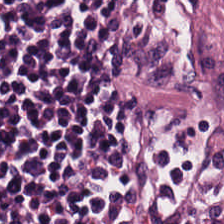Hematoxylin and eosin.
Q: What does this patch show?
A: Lymphoid infiltrate.
